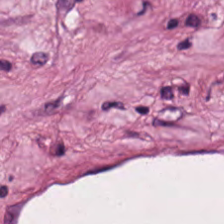H&E stain. Tissue type: desmoplastic stroma.
